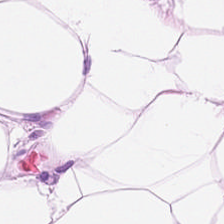H&E-stained tissue section; whole-slide-image patch — Q: What is shown here?
A: Fat tissue.
